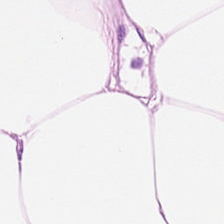The tissue is adipose tissue.
